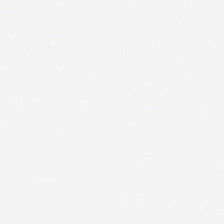H&E. Finding → empty background.
